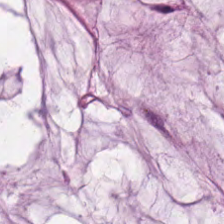0.5 microns per pixel · hematoxylin and eosin. Q: What is the predominant tissue type?
A: The field shows mucus.
